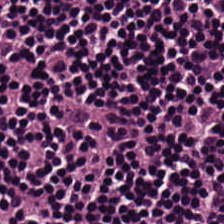224×224 px patch · H&E-stained tissue section · 0.5 microns per pixel. Predominantly lymphocyte aggregate.
